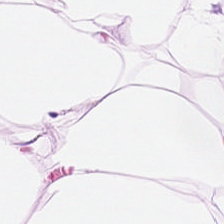Whole-slide-image patch; H&E-stained tissue section; FFPE — Tissue type: adipose tissue.
